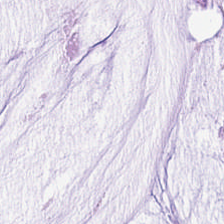H&E-stained tissue section — Tissue type: extracellular mucin.
